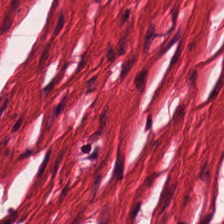Hematoxylin-and-eosin stained section.
Tissue type = smooth muscle.
